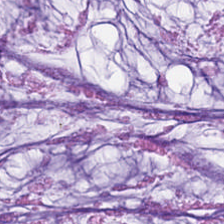H&E stain — Predominant tissue — extracellular mucin.
